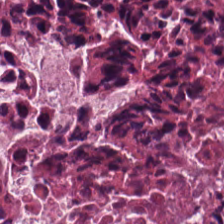{"tissue_type": "necrotic debris"}
